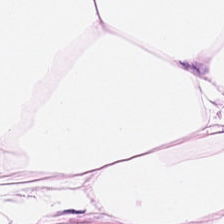H&E · 224×224 px patch · 20× equivalent magnification — Fat tissue.
